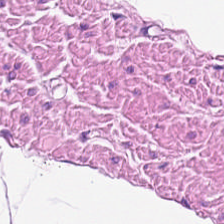0.5 µm/px · H&E. Showing muscularis.
